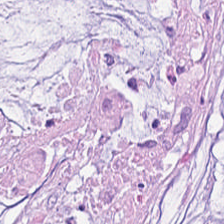Brightfield · 224×224 px tile · hematoxylin and eosin. The tissue type is mucin.
